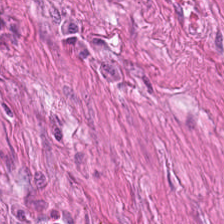H&E-stained section; the field shows smooth muscle.
